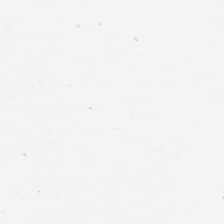The classification is background (no tissue).
